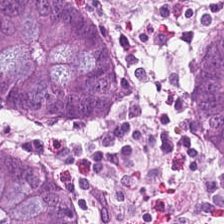The predominant tissue is normal colon mucosa.
